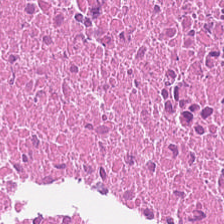H&E-stained tissue section.
Tissue class = cellular debris.
